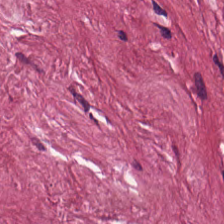Tissue — desmoplastic stroma.
